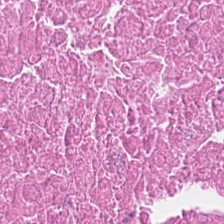Hematoxylin-and-eosin stained section; 0.5 µm/px; FFPE.
Impression → necrotic debris.
